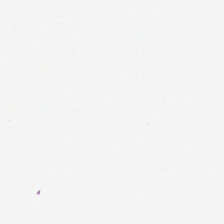H&E stain.
This field is background (no tissue).
